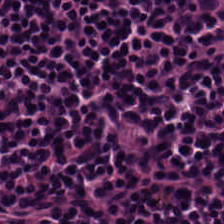H&E stain. Q: What type of tissue is this?
A: The field shows lymphoid infiltrate.
